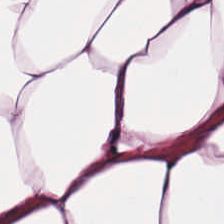The tissue type is adipose.
